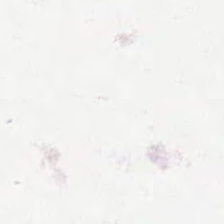H&E; 0.5 microns per pixel. This patch shows background (no tissue).
